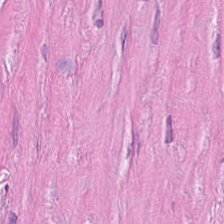Hematoxylin and eosin · 0.5 µm/px — Tissue — tumor-associated stroma.
